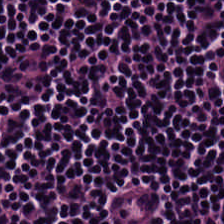Classification — lymphocytes.
